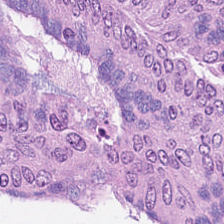The predominant tissue is tumor epithelium.
